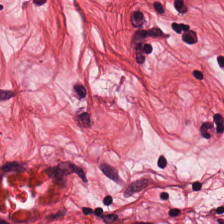Hematoxylin-and-eosin stained section.
{"tissue_type": "smooth-muscle tissue"}
